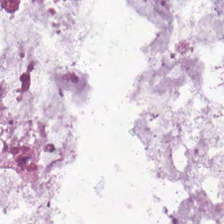H&E. Q: What tissue type is shown here?
A: Mucin.
